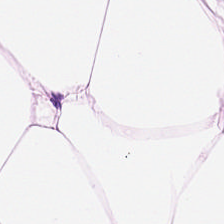The tissue type is adipocytes.
